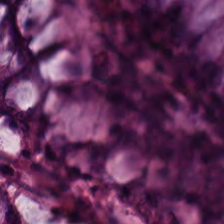Stain: H&E stain.
Resolution: 0.5 microns per pixel.
Tissue class: normal colonic mucosa.
